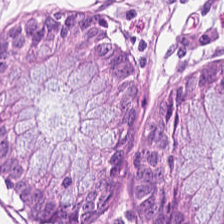Hematoxylin and eosin · WSI patch. Classification = normal colonic mucosa.
